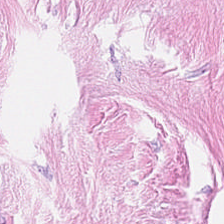Q: Classify this patch.
A: The field shows tumor stroma.
